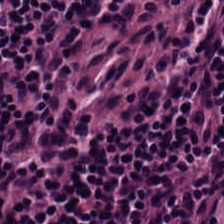Brightfield microscopy · H&E · 0.5 µm per pixel. Predominantly lymphoid infiltrate.
